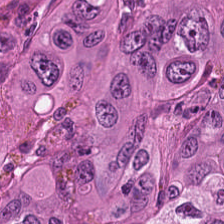Whole-slide-image patch · FFPE · H&E-stained tissue section. Q: What tissue type is shown here?
A: Colorectal adenocarcinoma epithelium.
